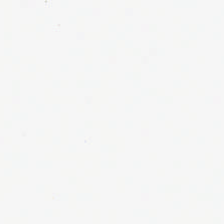This patch shows empty background.
